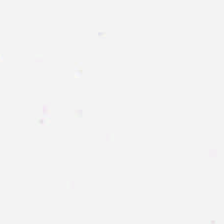This field is background (no tissue).
